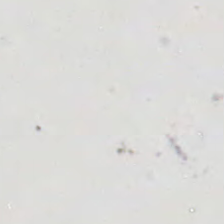Brightfield. H&E stain. Formalin-fixed paraffin-embedded section.
Field content: background (no tissue).
